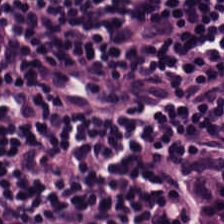Hematoxylin-and-eosin stained section. Tissue type — lymphocytes.
